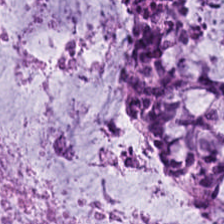Showing extracellular mucin.
